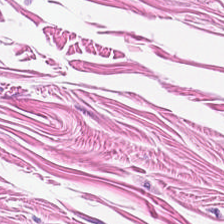224×224 px tile · hematoxylin and eosin.
This patch shows smooth-muscle tissue.
